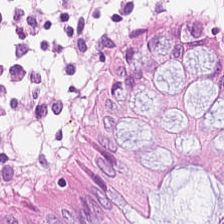Finding — normal colonic mucosa.
